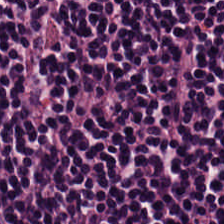H&E.
The tissue is lymphocytes.
